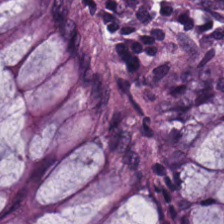20× equivalent magnification; hematoxylin-and-eosin stained section.
Showing benign colonic mucosa.
